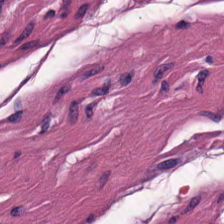Hematoxylin-and-eosin stained section. Smooth muscle.
